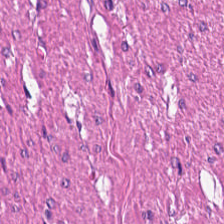H&E — smooth-muscle tissue.
